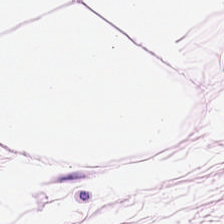H&E — Q: Identify the tissue.
A: It is adipose.
